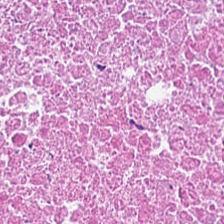H&E stain — Predominantly cellular debris.
